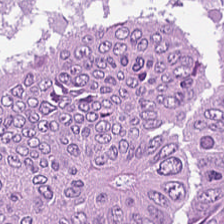H&E — Tissue class = tumor epithelium.
